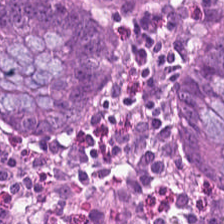H&E-stained section; the field shows non-neoplastic colon mucosa.
